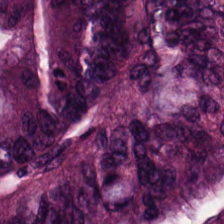Formalin-fixed paraffin-embedded section · hematoxylin-and-eosin stained section · 0.5 µm per pixel. The tissue type is tumor epithelium.
